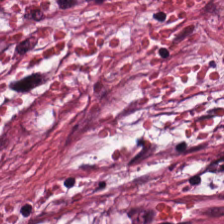Stain: H&E.
Preparation: FFPE tissue section.
Classification: tumor stroma.
